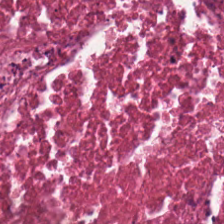Hematoxylin-and-eosin stained section — The predominant tissue is debris.
